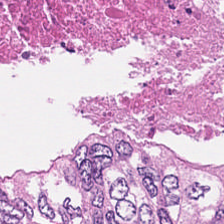This field is necrotic debris.
